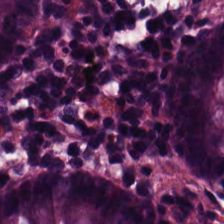H&E-stained tissue section. The predominant tissue is non-neoplastic colon mucosa.
